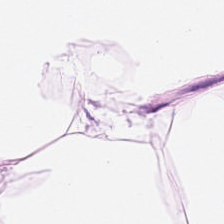0.5 µm/px. Hematoxylin and eosin. FFPE tissue section — This field is adipocytes.
